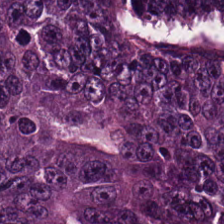Stain: H&E-stained tissue section.
Tissue type: adenocarcinoma.
